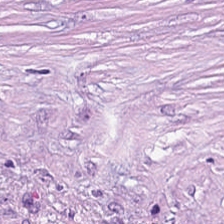Brightfield microscopy. H&E-stained tissue section — Predominantly tumor stroma.
